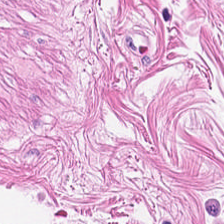Hematoxylin-and-eosin stained section — Showing smooth muscle.
